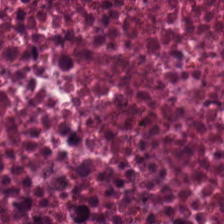This field is debris.
